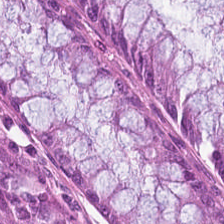Formalin-fixed paraffin-embedded section; hematoxylin and eosin — The predominant tissue is normal colonic mucosa.
